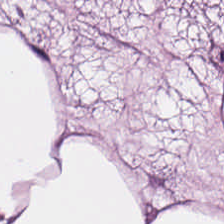H&E stain.
This field is adipocytes.
